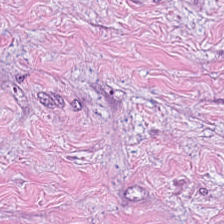Tissue class — cancer-associated stroma.
